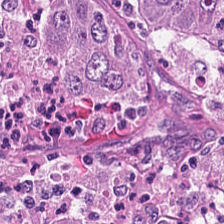WSI patch. Hematoxylin and eosin — The predominant tissue is colorectal adenocarcinoma epithelium.
